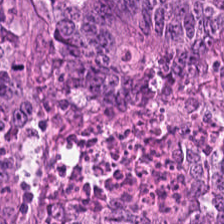Q: What tissue is shown?
A: This is malignant epithelium.
